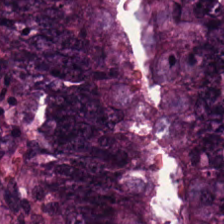Formalin-fixed paraffin-embedded section · H&E.
Tissue: malignant epithelium.
